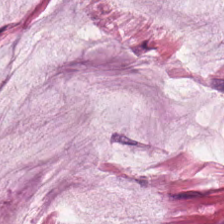Showing mucus.
